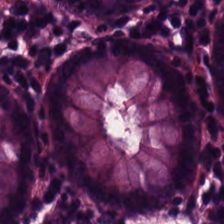{"tissue_type": "normal colonic mucosa"}
